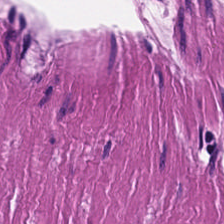224×224 pixel tile · hematoxylin-and-eosin stained section.
Q: What is the predominant tissue type?
A: It is muscularis.
